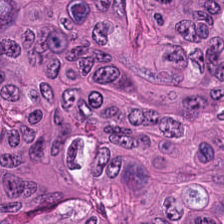Stain: hematoxylin-and-eosin stained section.
Preparation: formalin-fixed paraffin-embedded section.
Tissue type: malignant epithelium.
